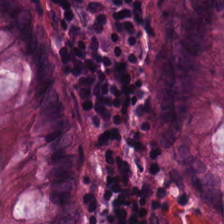H&E-stained tissue section. Tissue type = benign colonic mucosa.
